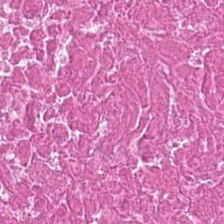Hematoxylin and eosin — Necrotic debris.
